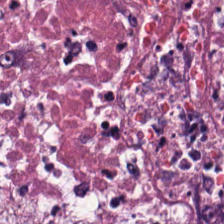224×224 px tile. Hematoxylin and eosin. The tissue type is debris.
